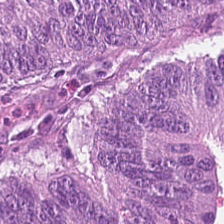H&E-stained tissue section — Tissue class = malignant epithelium.
